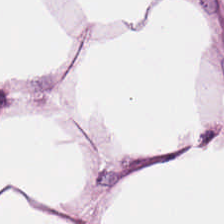H&E · FFPE — Predominantly adipocytes.
